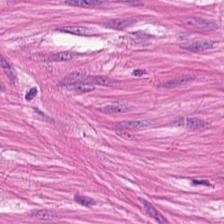WSI patch · H&E-stained tissue section · FFPE tissue section — Tissue class — smooth muscle.
